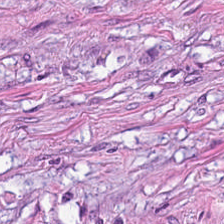Hematoxylin and eosin.
Classification = tumor-associated stroma.
